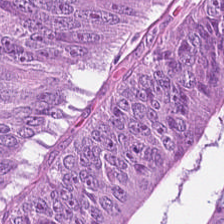FFPE. H&E stain. 224×224 px patch — Tissue class = tumor epithelium.
